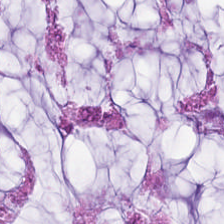H&E-stained tissue section. The tissue here is mucin.
